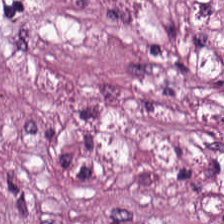H&E stain. 224×224 px patch. Showing tumor stroma.
